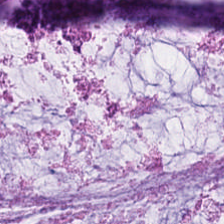Tissue class — mucin.
